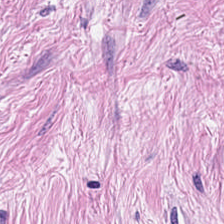H&E-stained tissue section; 20× equivalent magnification; whole-slide-image patch.
Tissue = desmoplastic stroma.
